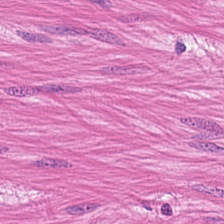Q: Identify the tissue.
A: This is smooth muscle.
